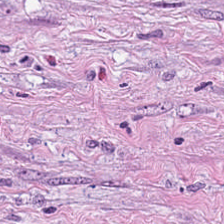0.5 µm/px · H&E-stained tissue section · formalin-fixed paraffin-embedded section. Histology → tumor stroma.
